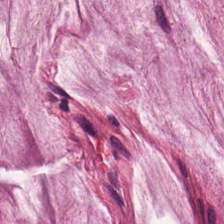224×224 pixel tile; H&E. Q: What is shown in this field?
A: It is extracellular mucin.
